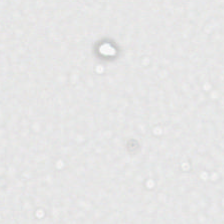Q: What is shown in this field?
A: This is empty background.
